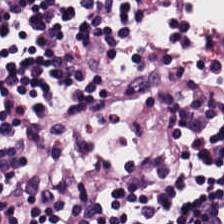FFPE. H&E.
This patch shows lymphocytic infiltrate.
